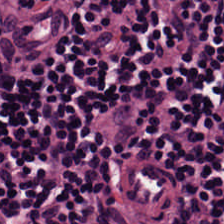Hematoxylin-and-eosin stained section; whole-slide-image patch.
The classification is lymphocytic infiltrate.
